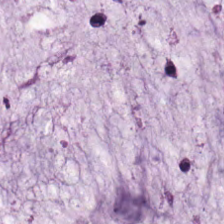Hematoxylin and eosin. The predominant tissue is mucin.
